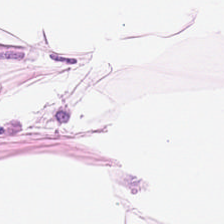Hematoxylin and eosin. 224×224 pixel tile. This patch shows adipose.
